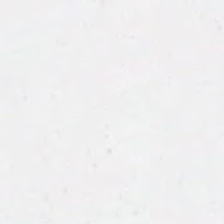H&E.
Impression → background (no tissue).
